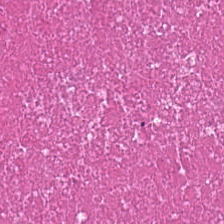FFPE tissue section. Hematoxylin and eosin. The tissue here is debris.
